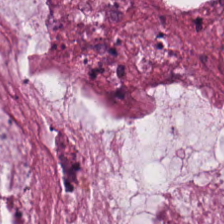Q: Identify the tissue.
A: This is extracellular mucin.
